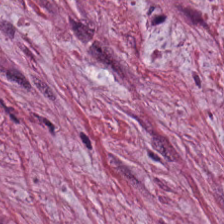Stain: hematoxylin-and-eosin stained section.
Preparation: formalin-fixed paraffin-embedded section.
Tissue type: tumor-associated stroma.
